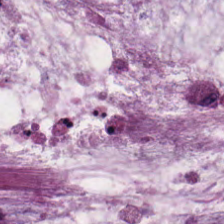Formalin-fixed paraffin-embedded section · H&E · 0.5 microns per pixel.
Extracellular mucin.
